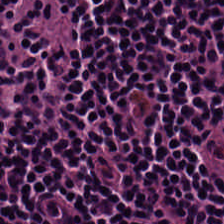Predominant tissue — lymphocyte aggregate.
